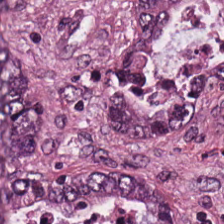Q: Classify this patch.
A: The field shows malignant epithelium.
